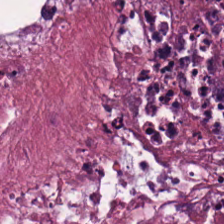H&E-stained tissue section. 224×224 pixel tile. WSI patch.
Q: What is shown here?
A: This is necrotic debris.
